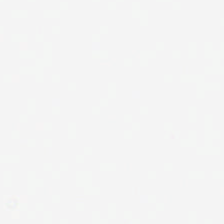H&E stain — {"content": "no tissue"}
